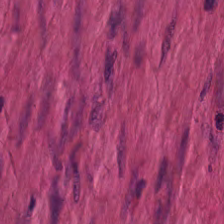224×224 px tile. Hematoxylin-and-eosin stained section.
Finding → muscularis.
